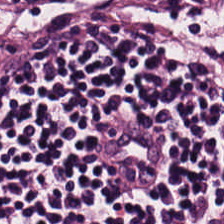H&E — lymphocyte aggregate.
